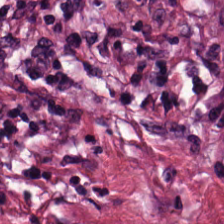Hematoxylin and eosin. 224×224 px tile. 0.5 microns per pixel — This field is desmoplastic stroma.
